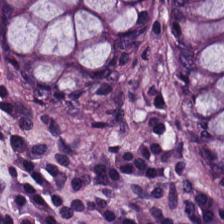224×224 px patch; H&E; formalin-fixed paraffin-embedded section. Q: What is shown here?
A: This is benign colonic mucosa.
